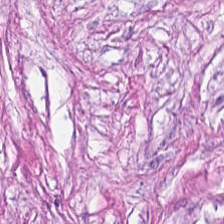H&E.
Tissue type = desmoplastic stroma.
